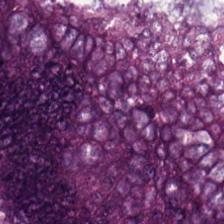224×224 pixel tile. H&E-stained tissue section.
Impression → colorectal adenocarcinoma epithelium.
